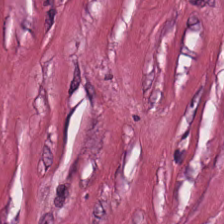H&E stain — The tissue here is desmoplastic stroma.
